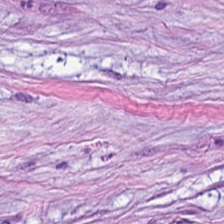This patch shows tumor stroma.
